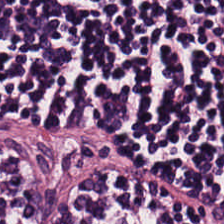Hematoxylin-and-eosin stained section. Q: What is shown here?
A: This is lymphocyte aggregate.
